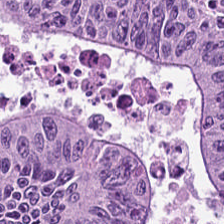H&E. 224×224 pixel tile — This patch shows tumor epithelium.
